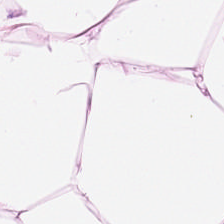Stain: H&E stain.
Preparation: FFPE tissue section.
Tissue: adipocytes.
